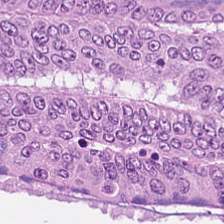Hematoxylin-and-eosin stained section.
Finding — malignant epithelium.
